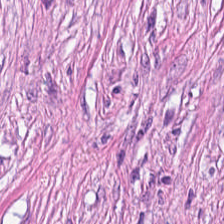H&E. 0.5 µm/px.
Q: Classify this patch.
A: The field shows tumor stroma.
